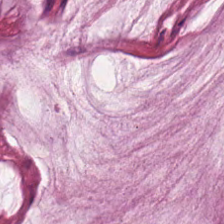H&E-stained tissue section. The predominant tissue is mucus.
